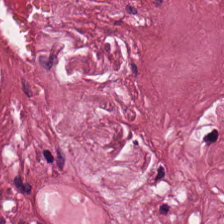H&E stain — Tissue — tumor-associated stroma.
